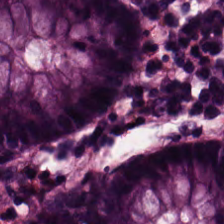Hematoxylin and eosin. Tissue — normal colonic mucosa.
